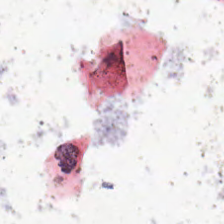Hematoxylin-and-eosin stained section; brightfield microscopy; FFPE tissue section.
Q: Classify this patch.
A: This is no tissue.
